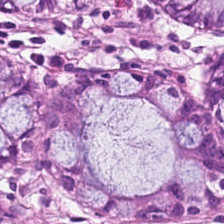224×224 px tile; H&E.
This patch shows non-neoplastic colon mucosa.
